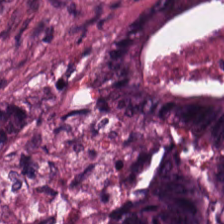20× equivalent magnification · FFPE tissue section · hematoxylin and eosin. Q: What tissue type is shown here?
A: It is malignant epithelium.
